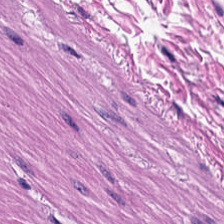FFPE · H&E — Q: What is the predominant tissue type?
A: Smooth muscle.
